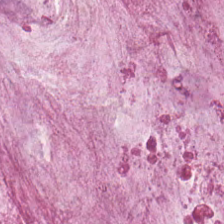Tissue type: extracellular mucin.
